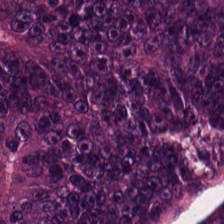Impression → malignant epithelium.
